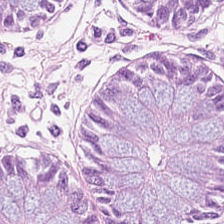Stain: H&E-stained tissue section.
Tile size: 224×224 px tile.
Acquisition: whole-slide-image patch.
Tissue type: benign colonic mucosa.
